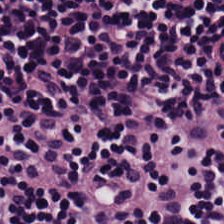Stain: H&E.
Tissue type: lymphocyte aggregate.
